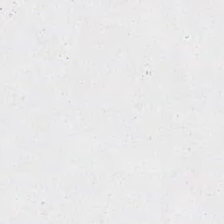Background — no tissue in this field.
